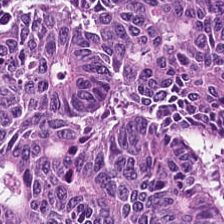Stain: H&E stain.
Resolution: 0.5 µm per pixel.
Preparation: FFPE tissue section.
Tissue type: adenocarcinoma.
